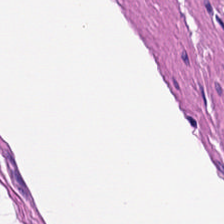Hematoxylin-and-eosin stained section · formalin-fixed paraffin-embedded section. The tissue type is muscularis.
